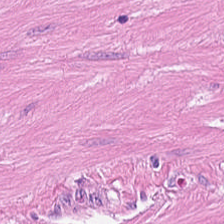This patch shows smooth-muscle tissue.
